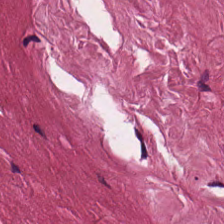H&E stain · WSI patch — Q: What is shown in this field?
A: This is desmoplastic stroma.
